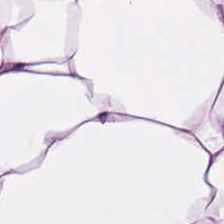Hematoxylin and eosin. Adipose tissue.
